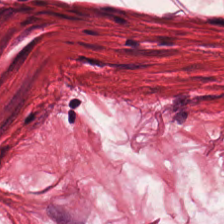Hematoxylin and eosin.
Q: What type of tissue is this?
A: It is smooth-muscle tissue.
